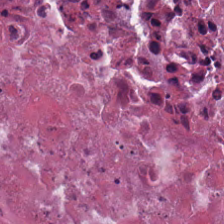H&E.
Showing cellular debris.
